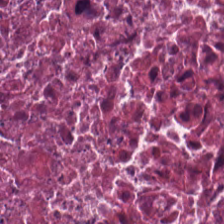{"tissue_type": "debris"}
